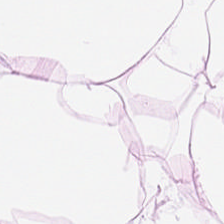224×224 px patch · hematoxylin and eosin. The classification is fat tissue.
